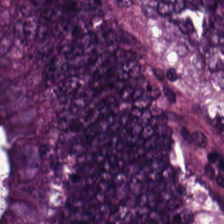This patch shows colorectal adenocarcinoma epithelium.
